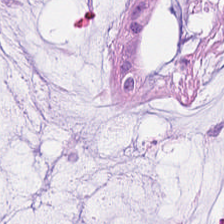Tissue class = mucin.
